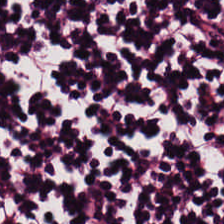Hematoxylin-and-eosin stained section. Formalin-fixed paraffin-embedded section. Histology — lymphocyte aggregate.
